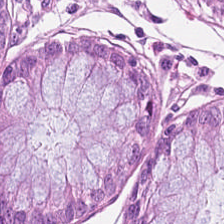Q: What type of tissue is this?
A: This is normal colon mucosa.
